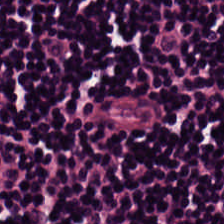H&E-stained section; the field shows lymphocytic infiltrate.
